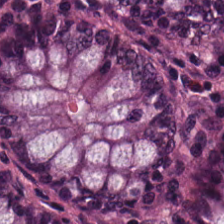Hematoxylin-and-eosin stained section. {"tissue_type": "normal colon mucosa"}
